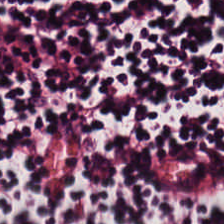{"tissue_type": "lymphocyte aggregate"}
